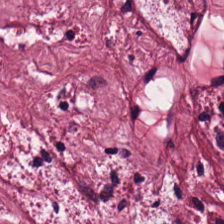FFPE tissue section. 0.5 µm per pixel. H&E-stained tissue section.
Q: What is the predominant tissue type?
A: This is desmoplastic stroma.
